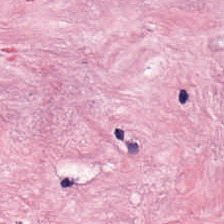Stain: hematoxylin-and-eosin stained section.
Tissue class: tumor-associated stroma.
